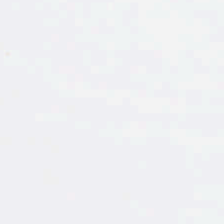Stain: H&E-stained tissue section.
Content: background.
